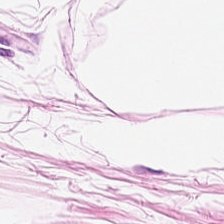H&E stain — Showing fat tissue.
